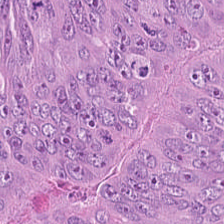This patch shows tumor epithelium.
